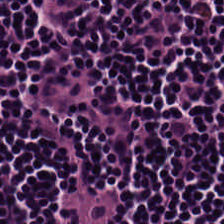H&E · whole-slide-image patch.
Impression → lymphocytes.
